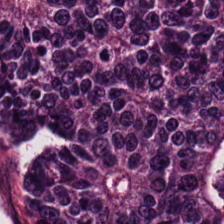H&E-stained tissue section — The predominant tissue is colorectal adenocarcinoma epithelium.
